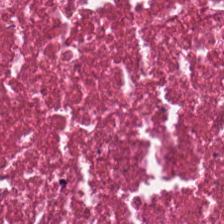H&E stain. 20× equivalent magnification — Q: What tissue is shown?
A: The field shows necrotic debris.
